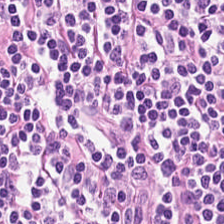H&E-stained tissue section. The tissue type is lymphocyte aggregate.
